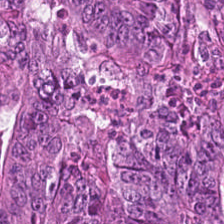Showing colorectal adenocarcinoma epithelium.
